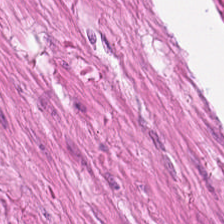Stain: H&E-stained tissue section.
Tissue class: smooth-muscle tissue.
